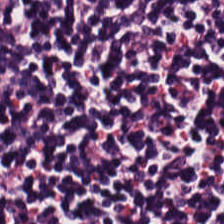Classification = lymphocytic infiltrate.
